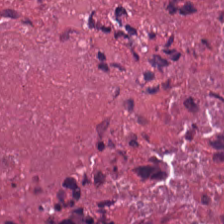H&E.
Tissue: necrotic debris.
